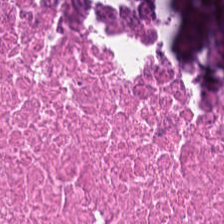Formalin-fixed paraffin-embedded section; H&E.
Finding — cellular debris.
